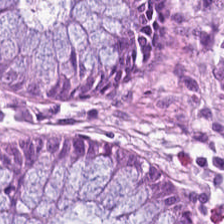Hematoxylin-and-eosin stained section; 224×224 px tile — The predominant tissue is benign colonic mucosa.
